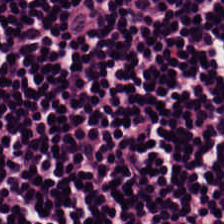0.5 microns per pixel; hematoxylin-and-eosin stained section.
Classification — lymphocytes.
